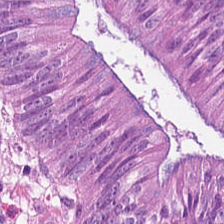224×224 pixel tile · hematoxylin and eosin.
Colorectal adenocarcinoma.
